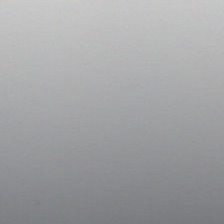H&E — Histology — background (no tissue).
